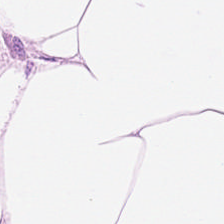Stain: H&E stain.
Tissue type: adipocytes.
